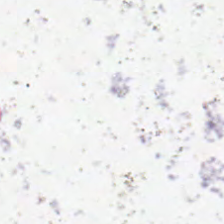224×224 px patch; H&E stain — Classification = background.
